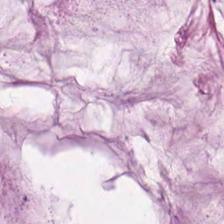Tissue = mucus.
